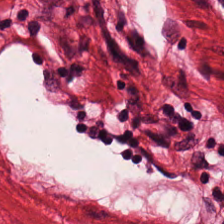Tissue class: smooth-muscle tissue.
